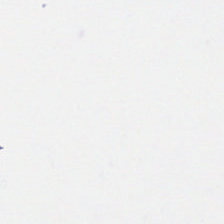Field content — no tissue.
